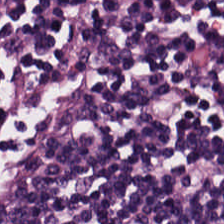Stain: H&E.
Preparation: FFPE tissue section.
Tissue: lymphocytes.
